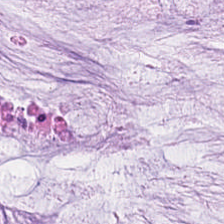FFPE tissue section; hematoxylin-and-eosin stained section.
Q: What tissue type is shown here?
A: Mucus.
